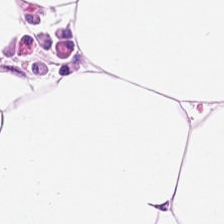H&E.
Histology → adipocytes.
